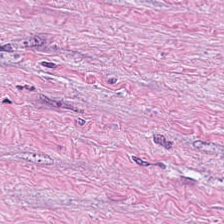Stain: H&E.
Tissue: tumor-associated stroma.
